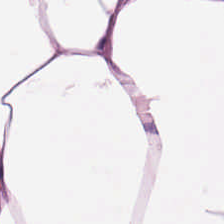Stain: H&E stain.
Acquisition: whole-slide-image patch.
Tissue class: adipose.
